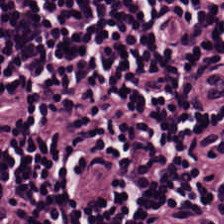H&E stain · FFPE tissue section — Predominant tissue = lymphocytes.
